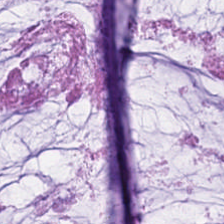This field is extracellular mucin.
